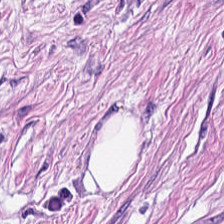Hematoxylin and eosin.
Q: Classify this patch.
A: This is smooth muscle.
